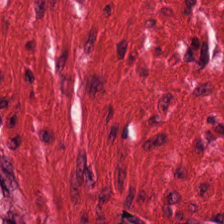Hematoxylin-and-eosin section: smooth muscle.
